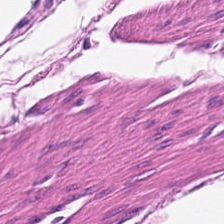H&E stain. The classification is smooth-muscle tissue.
